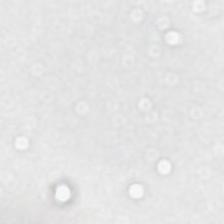Hematoxylin and eosin. The field content is no tissue.
